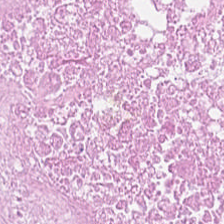Hematoxylin and eosin.
Impression — necrotic debris.
